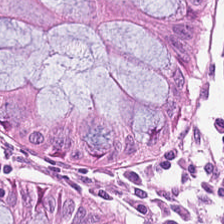Tissue = normal colon mucosa.
